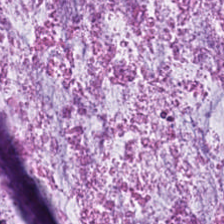The tissue here is mucin.
